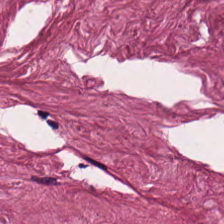224×224 px patch · H&E stain · 0.5 microns per pixel — Predominantly cancer-associated stroma.
